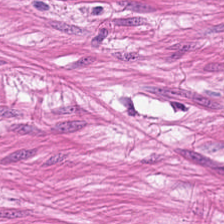H&E stain. The tissue here is smooth muscle.
